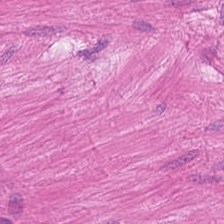Stain: hematoxylin-and-eosin stained section.
Tissue type: muscularis.
